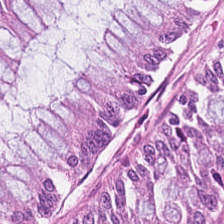Tissue class: benign colonic mucosa.
